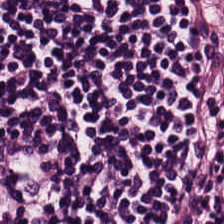H&E-stained tissue section. Showing lymphocyte aggregate.
